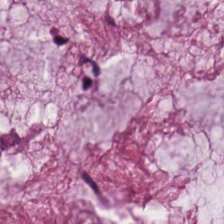Hematoxylin-and-eosin stained section; 0.5 µm/px; brightfield microscopy. Q: What is the predominant tissue type?
A: It is mucus.
